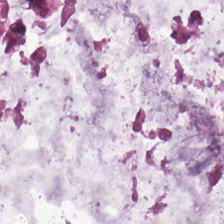H&E-stained tissue section; FFPE. Tissue = mucin.
